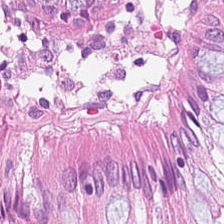Stain: H&E-stained tissue section.
Tissue class: benign colonic mucosa.
